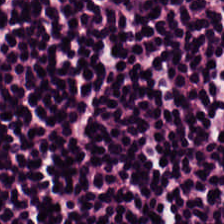This patch shows lymphocytic infiltrate.
